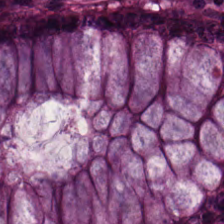Hematoxylin and eosin.
The tissue here is normal colonic mucosa.
